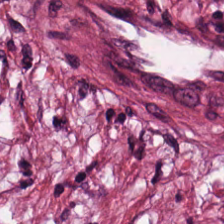H&E. Tumor-associated stroma.
